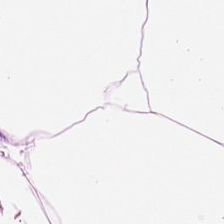Hematoxylin-and-eosin section: fat tissue.
